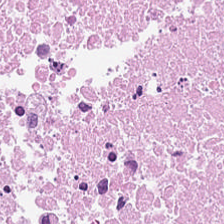Brightfield microscopy · hematoxylin and eosin.
{"tissue_type": "cellular debris"}
